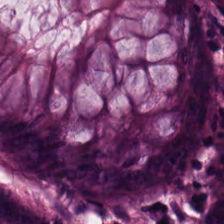0.5 µm per pixel. Brightfield. Hematoxylin-and-eosin stained section — Tissue class = normal colonic mucosa.
